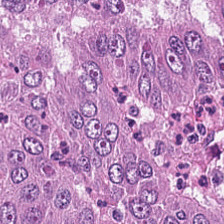H&E-stained tissue section.
This field is colorectal adenocarcinoma.
